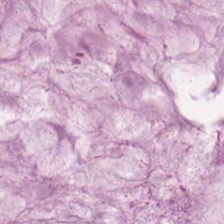Hematoxylin and eosin · 0.5 microns per pixel — Histology → mucus.
